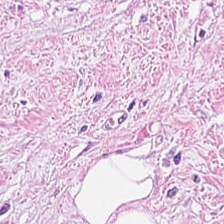H&E-stained tissue section — Q: Identify the tissue.
A: This is desmoplastic stroma.
